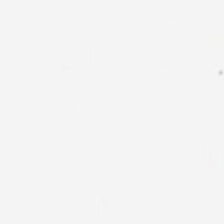H&E. 0.5 µm/px. Brightfield.
Q: What does this patch show?
A: The field shows background.
